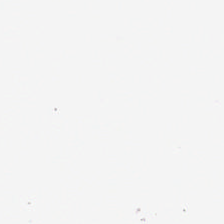Stain: H&E-stained tissue section.
Field content: no tissue.
